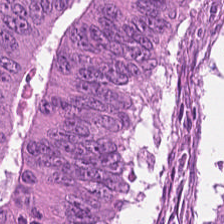{"tissue_type": "colorectal adenocarcinoma"}
